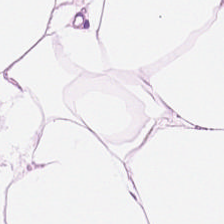Q: Classify this patch.
A: It is adipose.
